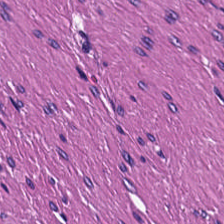Impression — smooth muscle.
